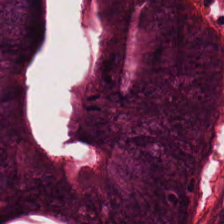Stain: H&E.
Tissue type: malignant epithelium.
